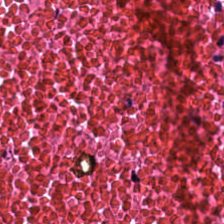Finding → cellular debris.
